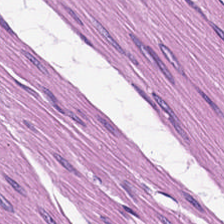Hematoxylin-and-eosin stained section. This patch shows smooth-muscle tissue.
